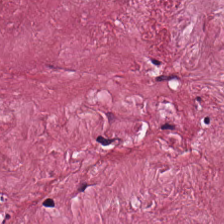H&E — Tissue type: tumor-associated stroma.
